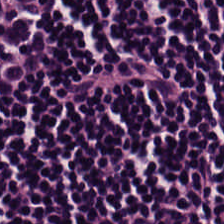Hematoxylin-and-eosin stained section. The classification is lymphocytic infiltrate.
